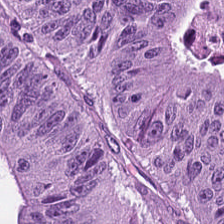Hematoxylin-and-eosin stained section.
The classification is colorectal adenocarcinoma.
